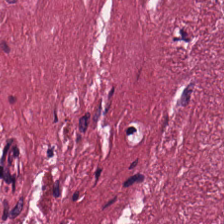This field is tumor-associated stroma.
